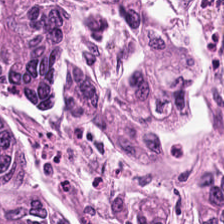FFPE tissue section; 0.5 µm per pixel; hematoxylin-and-eosin stained section — Tissue type = colorectal adenocarcinoma.
